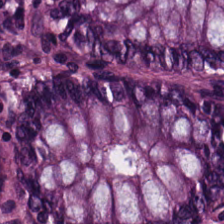224×224 pixel tile · hematoxylin-and-eosin stained section · whole-slide-image patch.
The predominant tissue is benign colonic mucosa.
